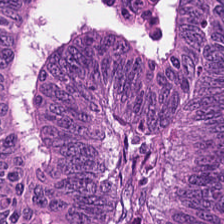0.5 µm/px · brightfield · H&E stain. Predominant tissue: tumor epithelium.
